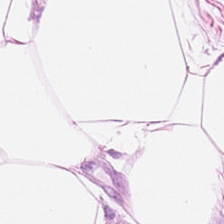Hematoxylin and eosin. Q: Identify the tissue.
A: This is adipose tissue.
